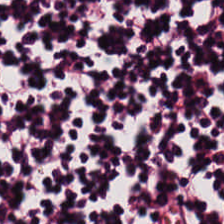H&E-stained tissue section. Lymphocytes.
